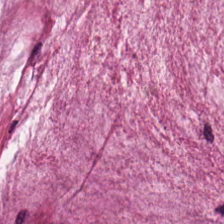Hematoxylin and eosin — Mucus.
